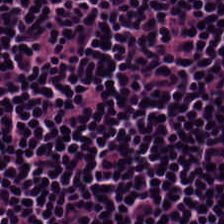Formalin-fixed paraffin-embedded section. Hematoxylin and eosin — Predominantly lymphoid infiltrate.
